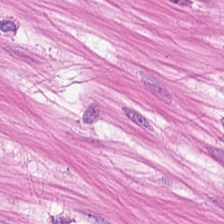{"tissue_type": "smooth-muscle tissue"}
